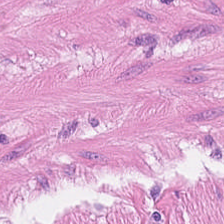The tissue here is smooth muscle.
